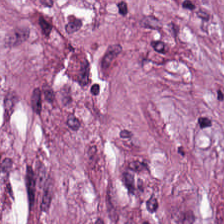H&E-stained tissue section. Q: What type of tissue is this?
A: Cancer-associated stroma.
